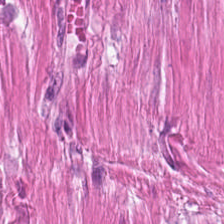H&E. 224×224 px patch. Finding → smooth muscle.
